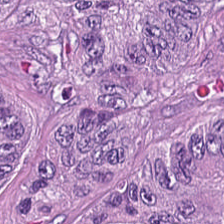Hematoxylin-and-eosin stained section · 224×224 px tile — Histology — colorectal adenocarcinoma.
